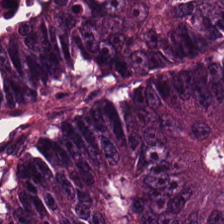Hematoxylin-and-eosin stained section; 224×224 px patch — Q: What does this patch show?
A: It is colorectal adenocarcinoma.
